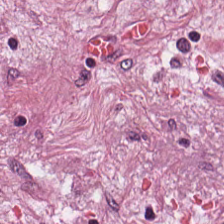WSI patch · hematoxylin-and-eosin stained section. Finding → desmoplastic stroma.
